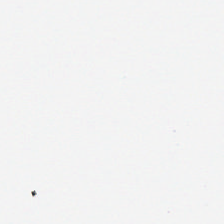H&E · formalin-fixed paraffin-embedded section. Content = background (no tissue).
